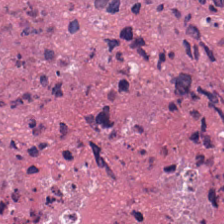Hematoxylin and eosin — Q: What does this patch show?
A: Necrotic debris.
